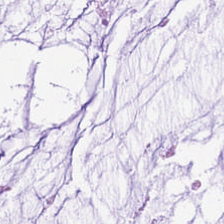Hematoxylin and eosin — The predominant tissue is extracellular mucin.
